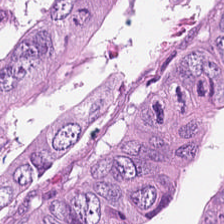This field is adenocarcinoma.
